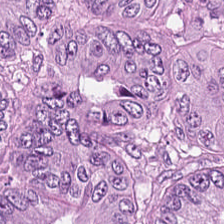H&E. {"tissue_type": "tumor epithelium"}
